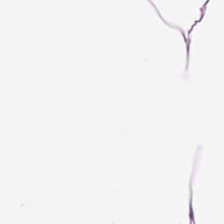Hematoxylin and eosin. Q: What is shown in this field?
A: Adipose.
